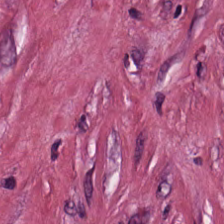Formalin-fixed paraffin-embedded section. H&E. 224×224 px patch — {"tissue_type": "tumor-associated stroma"}
